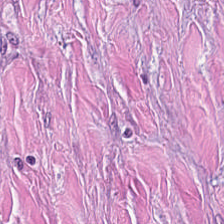Predominantly cancer-associated stroma.
